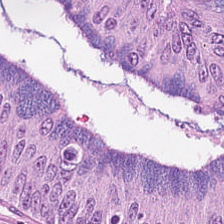Hematoxylin and eosin. Tissue = colorectal adenocarcinoma epithelium.
